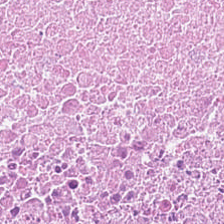Hematoxylin and eosin.
This patch shows debris.
